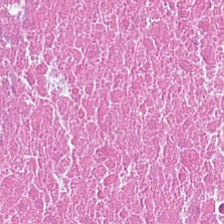224×224 pixel tile. Whole-slide-image patch. Hematoxylin-and-eosin stained section.
The tissue here is necrotic debris.
